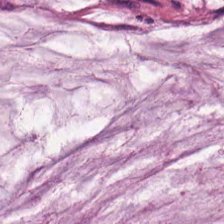WSI patch; FFPE; H&E stain.
Q: Identify the tissue.
A: Extracellular mucin.
